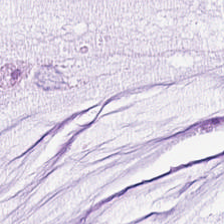Brightfield. Hematoxylin-and-eosin stained section.
Classification: mucin.
